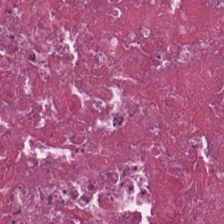Hematoxylin-and-eosin section: debris.
